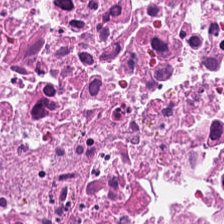224×224 px patch. FFPE tissue section. Hematoxylin-and-eosin stained section. Q: Classify this patch.
A: Debris.
